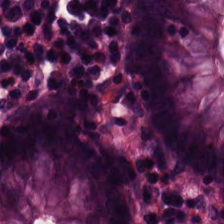Stain: H&E.
Tile size: 224×224 px patch.
Acquisition: WSI patch.
Classification: non-neoplastic colon mucosa.
